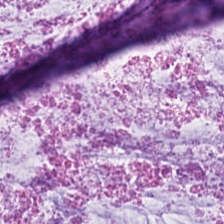Hematoxylin-and-eosin stained section; 224×224 pixel tile. Tissue type: mucus.
